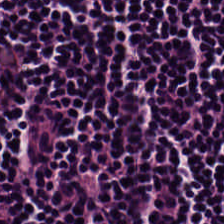224×224 pixel tile · H&E stain · WSI patch. Showing lymphocyte aggregate.
